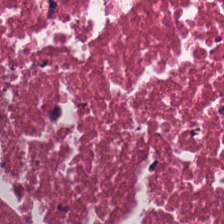H&E — necrotic debris.
